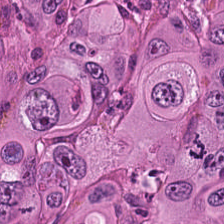Brightfield; H&E stain.
Q: What tissue type is shown here?
A: This is tumor epithelium.
